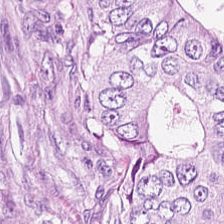Stain: hematoxylin-and-eosin stained section.
Tissue type: adenocarcinoma.
